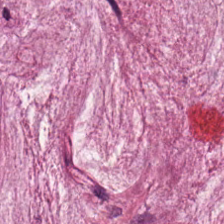0.5 µm/px. Hematoxylin-and-eosin stained section.
This field is mucin.
